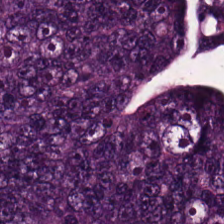Stain: H&E.
Predominant tissue: adenocarcinoma.
